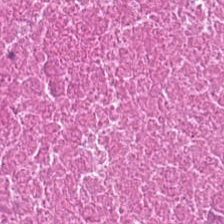H&E-stained tissue section. Classification — debris.
